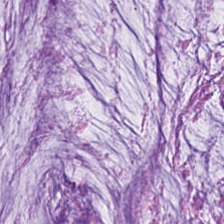H&E. Q: Identify the tissue.
A: The field shows mucus.
